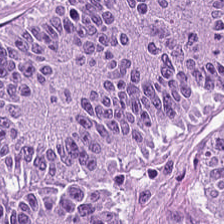Hematoxylin-and-eosin stained section. Impression — colorectal adenocarcinoma.
